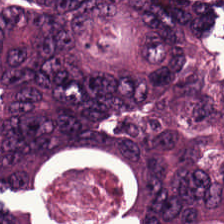H&E-stained tissue section.
Finding → colorectal adenocarcinoma epithelium.
